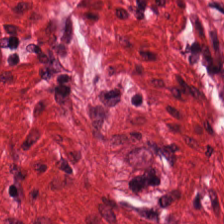Stain: hematoxylin and eosin.
Preparation: formalin-fixed paraffin-embedded section.
Acquisition: brightfield.
Classification: smooth-muscle tissue.
